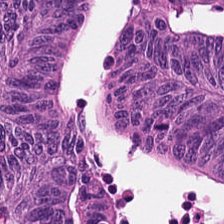H&E stain.
Tissue — colorectal adenocarcinoma epithelium.
